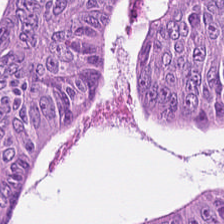Hematoxylin-and-eosin stained section · FFPE · 224×224 pixel tile. Q: Classify this patch.
A: The field shows tumor epithelium.
